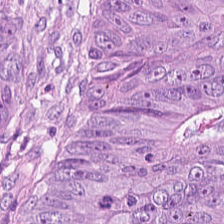Stain: hematoxylin and eosin.
Tissue class: colorectal adenocarcinoma epithelium.
